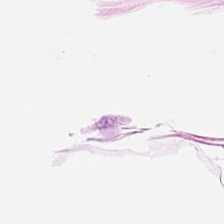Classification — adipose tissue.
